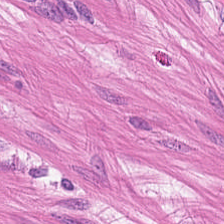H&E.
Predominantly smooth-muscle tissue.
